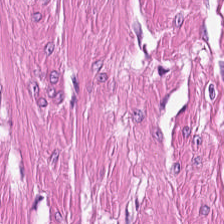{"tissue_type": "smooth muscle"}
